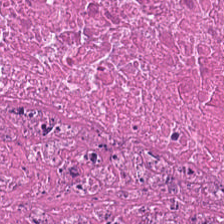H&E stain.
Tissue type: necrotic debris.
